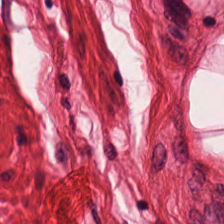The predominant tissue is smooth-muscle tissue.
